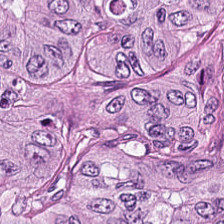H&E-stained tissue section.
Colorectal adenocarcinoma.
